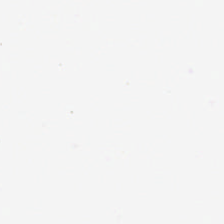FFPE tissue section · H&E stain. This patch shows no tissue.
